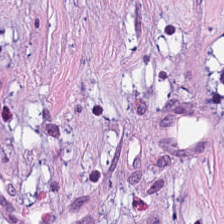Stain: H&E stain.
Resolution: 0.5 µm per pixel.
Classification: tumor-associated stroma.
